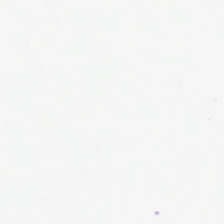Classification = no tissue.
